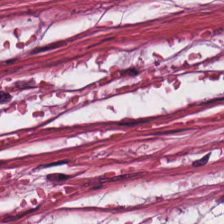Q: Classify this patch.
A: The field shows cancer-associated stroma.
